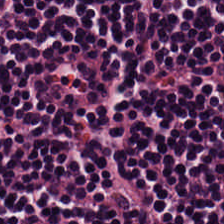{"tissue_type": "lymphocytes"}
